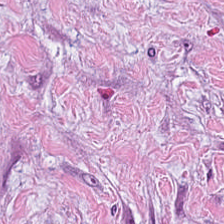H&E stain.
Tissue — tumor stroma.
